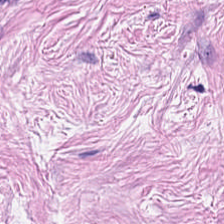Hematoxylin-and-eosin stained section. Predominantly desmoplastic stroma.
